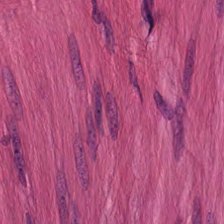224×224 px patch. Hematoxylin-and-eosin stained section. Q: What tissue is shown?
A: This is smooth-muscle tissue.
